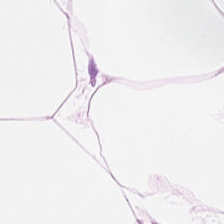Hematoxylin and eosin.
Adipose tissue.
